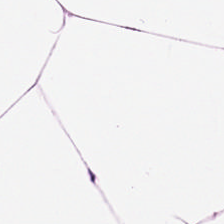Q: Classify this patch.
A: It is adipose.
